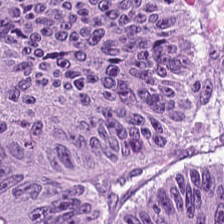224×224 px patch · hematoxylin and eosin · 0.5 µm/px — The predominant tissue is tumor epithelium.
